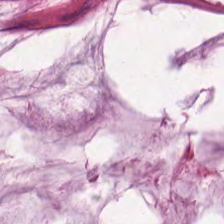H&E-stained tissue section.
Tissue class — mucin.
